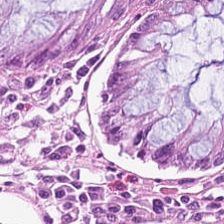FFPE; H&E-stained tissue section — The tissue class is normal colon mucosa.
